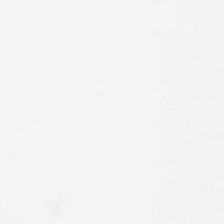H&E. 224×224 px patch.
No tissue present; background only.
